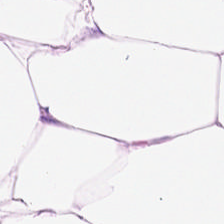H&E stain — This patch shows adipose tissue.
